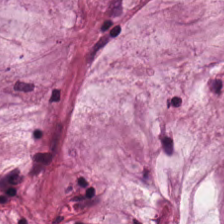224×224 pixel tile · H&E-stained tissue section · FFPE tissue section.
{"tissue_type": "extracellular mucin"}
